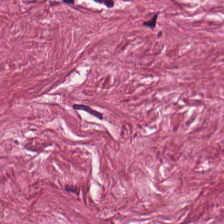The tissue here is tumor stroma.
